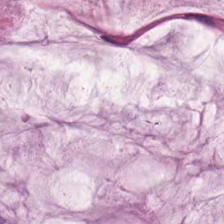H&E.
Finding → extracellular mucin.
